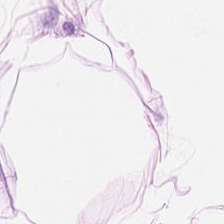Tissue — adipose tissue.
